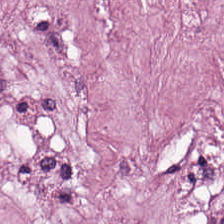FFPE tissue section · hematoxylin-and-eosin stained section · brightfield microscopy — Q: Identify the tissue.
A: This is tumor-associated stroma.
